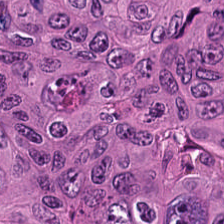H&E. Predominant tissue — adenocarcinoma.
